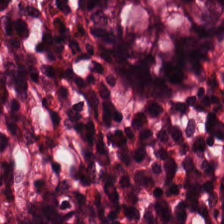Normal colonic mucosa.
